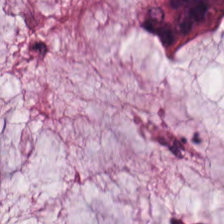20× equivalent magnification. Brightfield. Hematoxylin and eosin — Predominant tissue = extracellular mucin.
